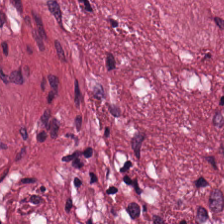H&E · FFPE tissue section.
Predominant tissue = tumor stroma.
